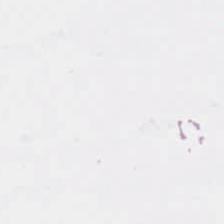0.5 µm per pixel; hematoxylin and eosin; 224×224 px patch.
Field content: empty background.
